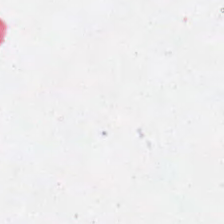0.5 µm per pixel · H&E-stained tissue section. Field content = background (no tissue).
